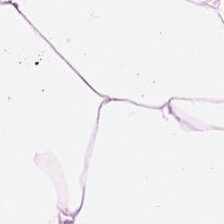Hematoxylin-and-eosin stained section. {"tissue_type": "adipose tissue"}
